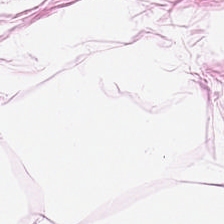Hematoxylin and eosin.
Q: What is shown here?
A: It is adipocytes.
